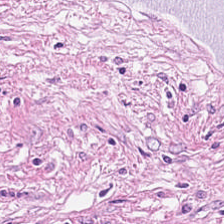H&E stain — Tissue class = desmoplastic stroma.
